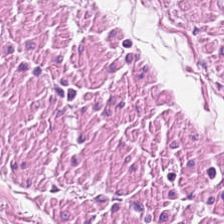Hematoxylin-and-eosin stained section; FFPE.
Tissue type — muscularis.
